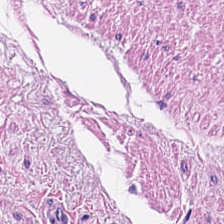Predominant tissue = muscularis.
